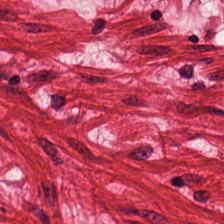H&E stain; WSI patch — Predominantly smooth-muscle tissue.
